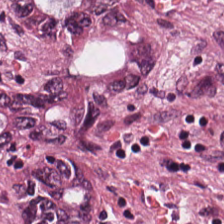224×224 px tile. Hematoxylin-and-eosin stained section. Whole-slide-image patch — Classification — colorectal adenocarcinoma epithelium.
